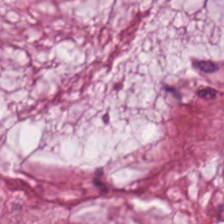H&E-stained section; the field shows extracellular mucin.
